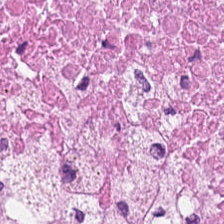20× equivalent magnification; H&E stain; brightfield — Q: What is the predominant tissue type?
A: Debris.
